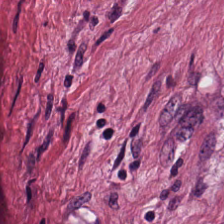H&E-stained tissue section. Tumor-associated stroma.
